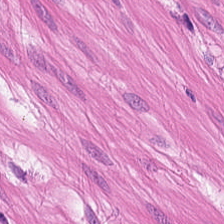H&E stain — Tissue type = smooth-muscle tissue.
